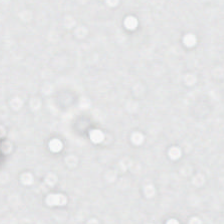Hematoxylin and eosin. Field content — no tissue.
